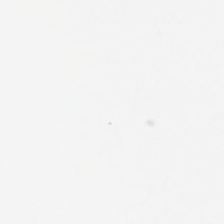Brightfield. Hematoxylin and eosin. Q: What does this patch show?
A: The field shows background.
